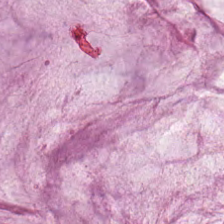Brightfield microscopy · H&E · 224×224 pixel tile.
This field is mucin.
